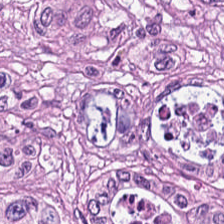H&E stain. Predominant tissue = colorectal adenocarcinoma epithelium.
